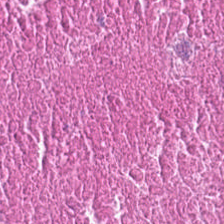H&E-stained tissue section. This field is cellular debris.
